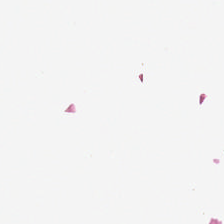H&E-stained tissue section. This patch shows background.
